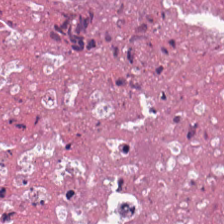Hematoxylin-and-eosin stained section. FFPE tissue section. Brightfield microscopy. The predominant tissue is necrotic debris.
